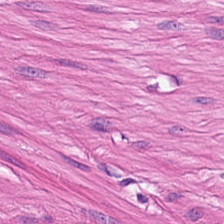H&E-stained tissue section. Histology → smooth-muscle tissue.
